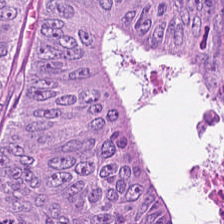FFPE. Brightfield. Hematoxylin and eosin. This field is tumor epithelium.
